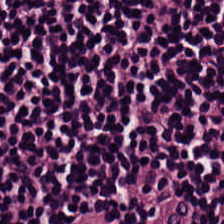Formalin-fixed paraffin-embedded section · hematoxylin and eosin.
Histology → lymphocytes.
